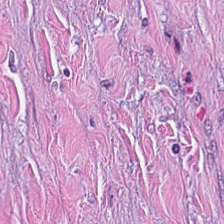H&E — desmoplastic stroma.
